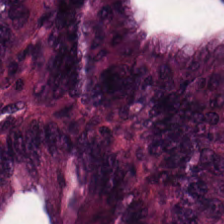H&E stain — The predominant tissue is tumor epithelium.
